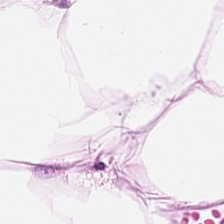Hematoxylin and eosin; whole-slide-image patch — Fat tissue.
